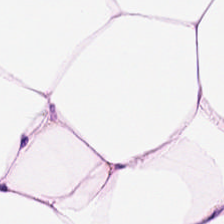H&E stain. Tissue class — adipose tissue.
